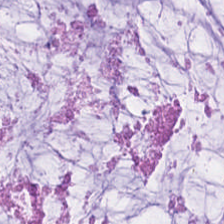Histology — extracellular mucin.
